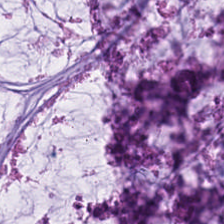The tissue class is extracellular mucin.
